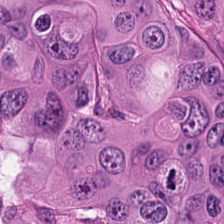H&E stain · brightfield microscopy. Predominant tissue: colorectal adenocarcinoma.
